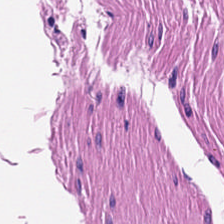H&E stain. This field is smooth muscle.
